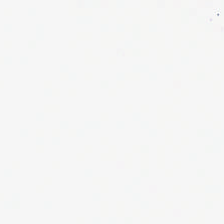H&E stain. Q: What does this patch show?
A: It is empty background.
